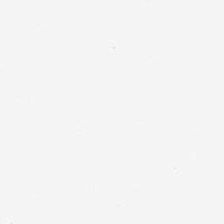Stain: H&E stain.
Content: background (no tissue).
